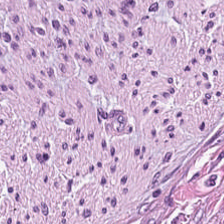H&E — The predominant tissue is desmoplastic stroma.
